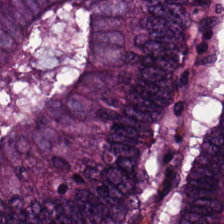Hematoxylin and eosin. Tissue class: colorectal adenocarcinoma epithelium.
